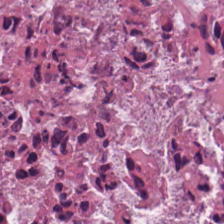This patch shows debris.
